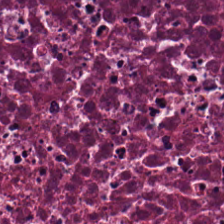Hematoxylin and eosin · 224×224 px patch — Tissue class — cellular debris.
